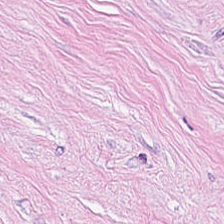Impression → desmoplastic stroma.
